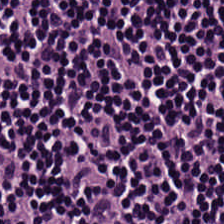Predominant tissue — lymphoid infiltrate.
